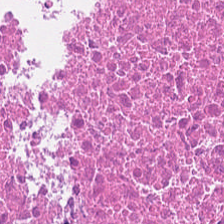Histology → necrotic debris.
